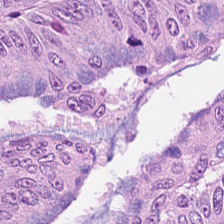Stain: H&E-stained tissue section.
Acquisition: brightfield microscopy.
Resolution: 20× equivalent magnification.
Tissue class: colorectal adenocarcinoma.
